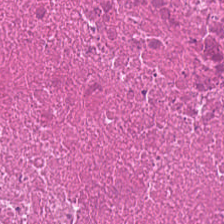H&E stain · brightfield microscopy · 20× equivalent magnification. The tissue type is debris.
